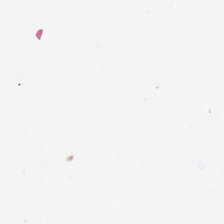Hematoxylin-and-eosin stained section. This field is background (no tissue).
